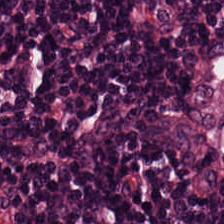Hematoxylin-and-eosin stained section. Predominantly lymphoid infiltrate.
